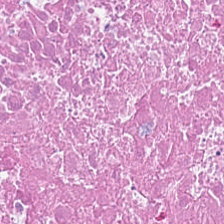Showing necrotic debris.
